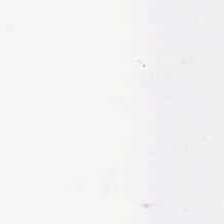No tissue present; background only.
